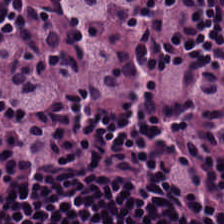Q: What type of tissue is this?
A: The field shows lymphocytes.
